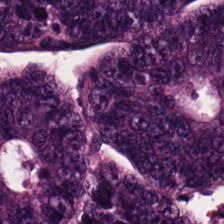FFPE; WSI patch; H&E-stained tissue section.
Tissue: colorectal adenocarcinoma.
